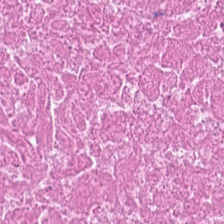WSI patch · 224×224 px tile · H&E — Cellular debris.
